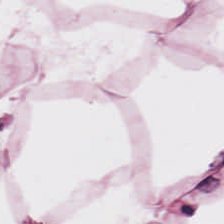Showing adipose tissue.
